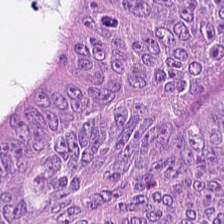H&E — Tissue class: malignant epithelium.
